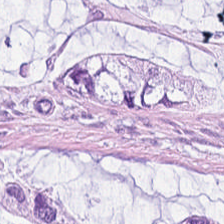Hematoxylin-and-eosin stained section. Tissue class: mucus.
